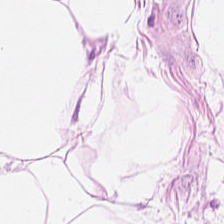Q: What tissue is shown?
A: Adipose tissue.
